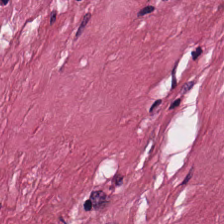Hematoxylin and eosin — Impression → desmoplastic stroma.
